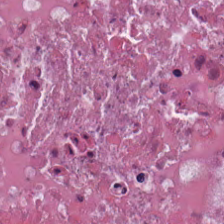H&E-stained tissue section — Histology → necrotic debris.
